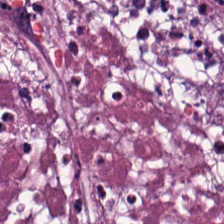Hematoxylin and eosin. Impression → cellular debris.
